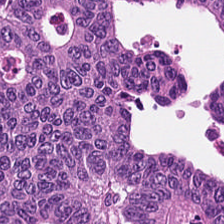H&E stain.
Q: What does this patch show?
A: Adenocarcinoma.
